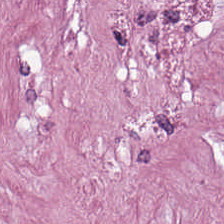Hematoxylin-and-eosin stained section; 0.5 microns per pixel; whole-slide-image patch.
Q: Identify the tissue.
A: It is tumor-associated stroma.
